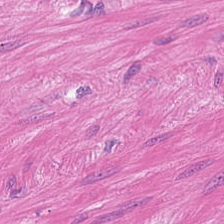H&E stain.
This field is muscularis.
